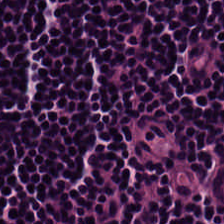Hematoxylin-and-eosin stained section; 20× equivalent magnification.
Predominant tissue: lymphoid infiltrate.
